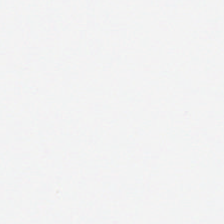Stain: H&E.
Preparation: FFPE tissue section.
Content: empty background.
